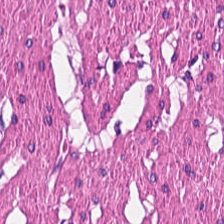FFPE; H&E; 0.5 microns per pixel — The tissue type is smooth muscle.
